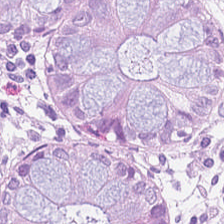20× equivalent magnification. Hematoxylin-and-eosin stained section.
Q: What is shown here?
A: This is benign colonic mucosa.
